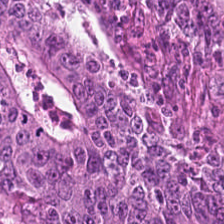WSI patch; H&E.
Classification = malignant epithelium.
